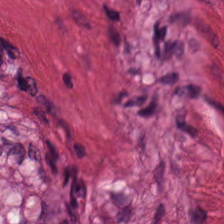H&E-stained section; the field shows muscularis.
